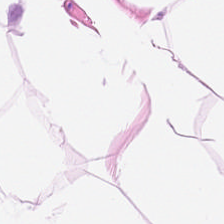Classification: fat tissue.
